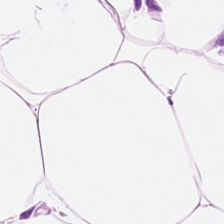Predominant tissue: adipocytes.
